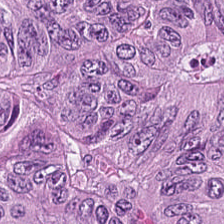H&E; 224×224 px patch.
This patch shows malignant epithelium.
